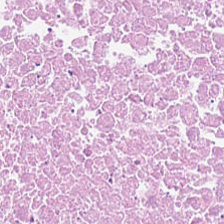224×224 px tile; hematoxylin and eosin. This patch shows necrotic debris.
